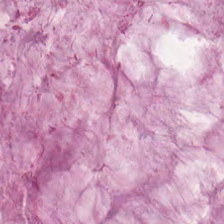0.5 µm per pixel. Hematoxylin-and-eosin stained section — Mucus.
